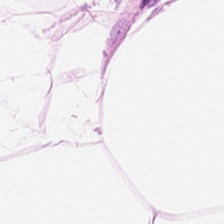Stain: hematoxylin-and-eosin stained section.
Acquisition: WSI patch.
Classification: adipose.
